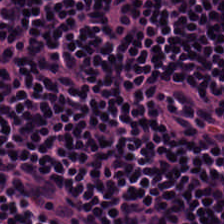Stain: hematoxylin-and-eosin stained section.
Tissue class: lymphoid infiltrate.
